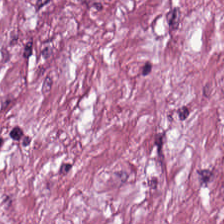Tissue = tumor stroma.
